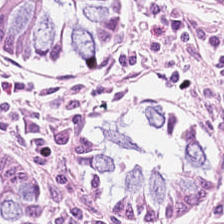Stain: H&E-stained tissue section.
Tile size: 224×224 px patch.
Preparation: FFPE.
Tissue: benign colonic mucosa.
